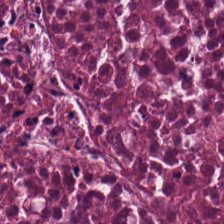H&E stain. This field is necrotic debris.
